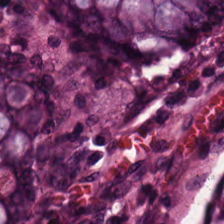Hematoxylin and eosin; brightfield microscopy.
{"tissue_type": "normal colonic mucosa"}
